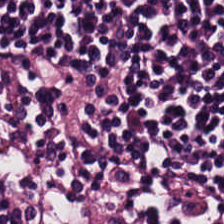H&E stain · FFPE — Lymphocyte aggregate.
